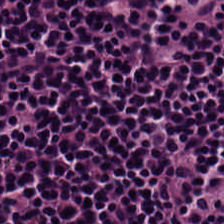Whole-slide-image patch. H&E stain — Finding — lymphocyte aggregate.
